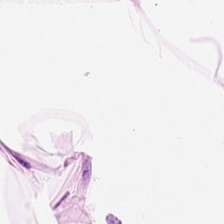H&E; FFPE.
Showing adipose tissue.
